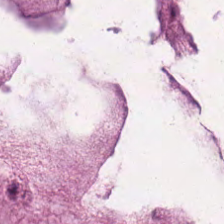Stain: H&E-stained tissue section.
Tissue type: extracellular mucin.
